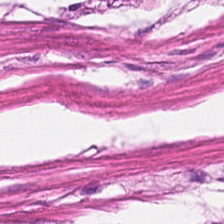Hematoxylin-and-eosin stained section. Finding → smooth-muscle tissue.
